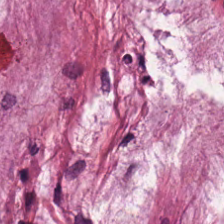Tissue type — mucin.
